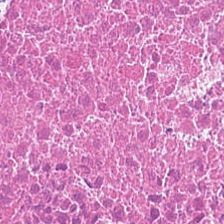Hematoxylin-and-eosin stained section — The tissue here is cellular debris.
